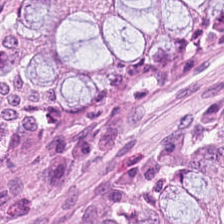Hematoxylin-and-eosin section: normal colonic mucosa.
